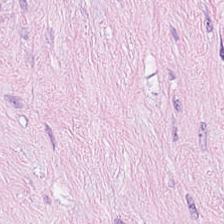224×224 px patch. 0.5 µm/px. H&E. This field is desmoplastic stroma.
